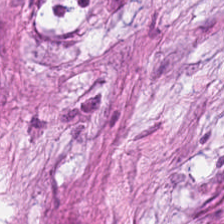Predominantly desmoplastic stroma.
